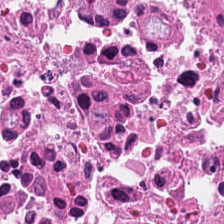H&E stain — Classification — debris.
